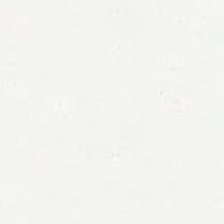H&E · 0.5 microns per pixel. Content = background (no tissue).
